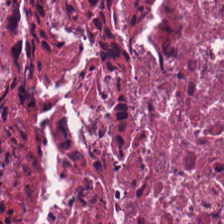H&E. 0.5 microns per pixel — This patch shows cellular debris.
